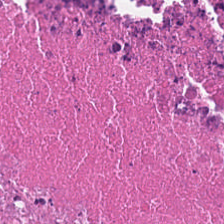Stain: hematoxylin-and-eosin stained section.
Acquisition: brightfield microscopy.
Predominant tissue: debris.
